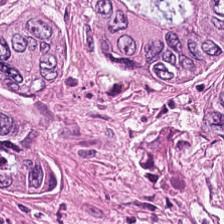H&E stain · 0.5 µm/px.
Tissue class — colorectal adenocarcinoma epithelium.
